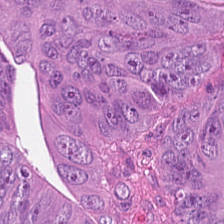H&E-stained tissue section. {"tissue_type": "malignant epithelium"}
